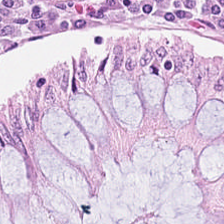{"tissue_type": "normal colon mucosa"}
